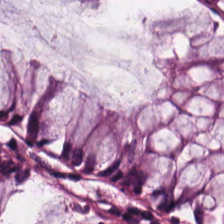0.5 µm per pixel. 224×224 px tile. H&E stain.
Tissue type: normal colonic mucosa.
